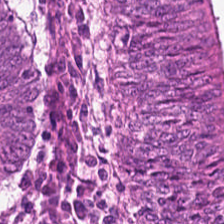H&E.
Tissue = colorectal adenocarcinoma.
